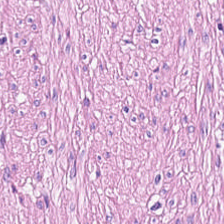Q: What is the predominant tissue type?
A: It is smooth-muscle tissue.
